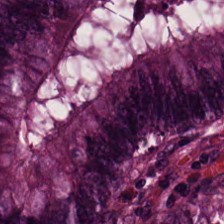H&E — This field is non-neoplastic colon mucosa.
